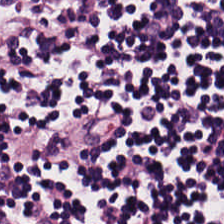H&E.
The tissue here is lymphocytic infiltrate.
